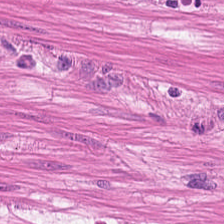H&E-stained tissue section. Whole-slide-image patch — This patch shows smooth muscle.
